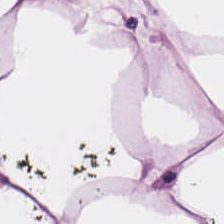The predominant tissue is adipocytes.
